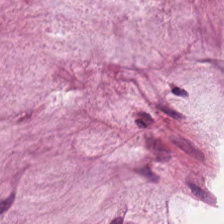Hematoxylin-and-eosin stained section; FFPE tissue section. Finding — mucus.
